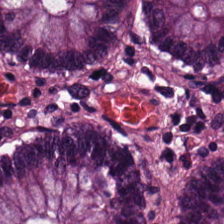Tissue type = normal colon mucosa.
